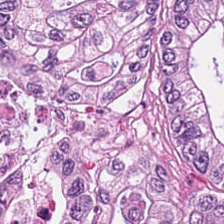H&E stain.
The tissue is tumor epithelium.
